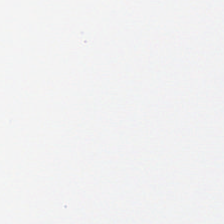Hematoxylin and eosin. Histology → no tissue.
